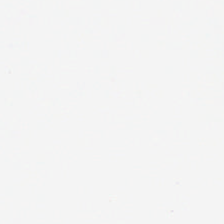Q: What is shown in this field?
A: Background (no tissue).
